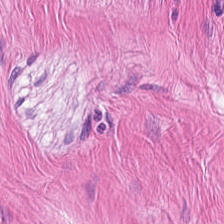H&E. Brightfield. FFPE. Q: What type of tissue is this?
A: The field shows muscularis.
